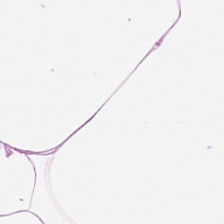H&E. The tissue is adipocytes.
